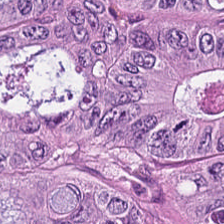H&E — Colorectal adenocarcinoma epithelium.
